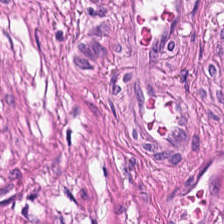Stain: H&E.
Tile size: 224×224 pixel tile.
Resolution: 0.5 microns per pixel.
Tissue type: smooth muscle.
